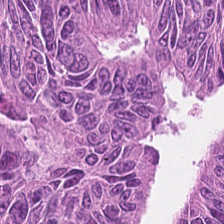Hematoxylin-and-eosin stained section. Predominantly tumor epithelium.
